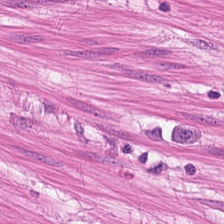Stain: hematoxylin-and-eosin stained section.
Predominant tissue: muscularis.
